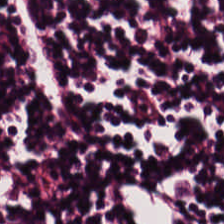Classification — lymphocytic infiltrate.
